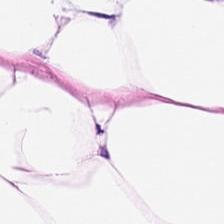H&E · 0.5 µm per pixel · 224×224 px tile.
Predominantly adipocytes.
